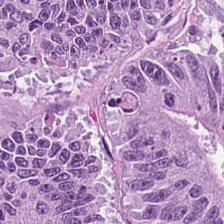Hematoxylin and eosin. Tissue = colorectal adenocarcinoma epithelium.
